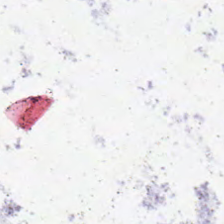H&E stain. No tissue present; background only.
